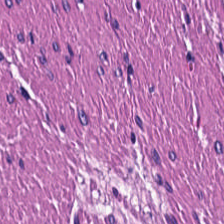Hematoxylin and eosin.
The classification is smooth muscle.
